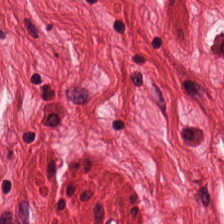Hematoxylin-and-eosin stained section. This field is smooth-muscle tissue.
